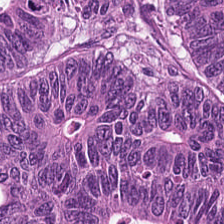Q: What type of tissue is this?
A: It is malignant epithelium.
